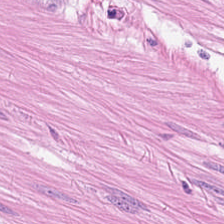{"tissue_type": "smooth muscle"}
